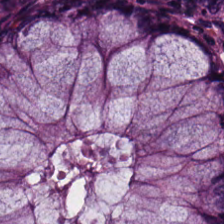Whole-slide-image patch; hematoxylin-and-eosin stained section.
Q: What tissue is shown?
A: This is non-neoplastic colon mucosa.
